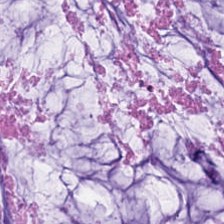Hematoxylin-and-eosin stained section.
Q: Classify this patch.
A: This is mucus.
